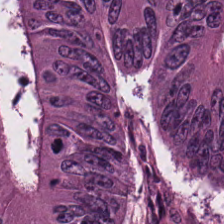H&E-stained tissue section — Finding → colorectal adenocarcinoma epithelium.
